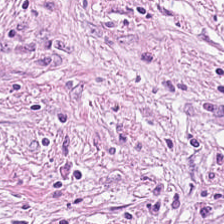Hematoxylin and eosin — Showing tumor-associated stroma.
